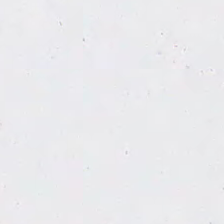Hematoxylin and eosin — Background — no tissue in this field.
